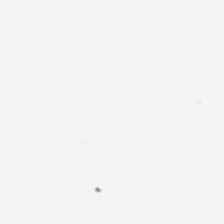Stain: hematoxylin-and-eosin stained section.
Tile size: 224×224 px patch.
Acquisition: brightfield microscopy.
Classification: background.
